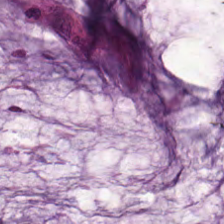224×224 px patch. H&E stain — The predominant tissue is mucin.
